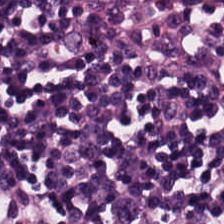{"tissue_type": "lymphocyte aggregate"}
